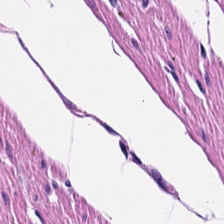Hematoxylin and eosin.
Q: Identify the tissue.
A: This is smooth muscle.
